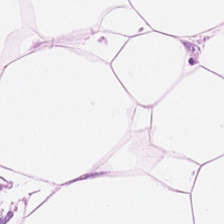H&E — fat tissue.
